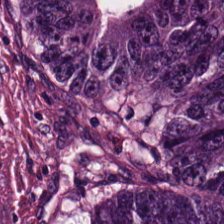Histology — colorectal adenocarcinoma.
